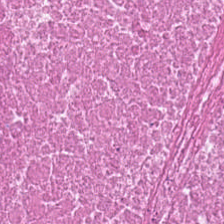Stain: H&E-stained tissue section.
Tissue type: cellular debris.
